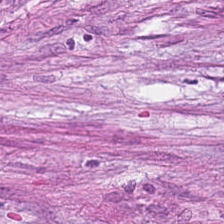Hematoxylin and eosin. Q: What type of tissue is this?
A: This is tumor stroma.
